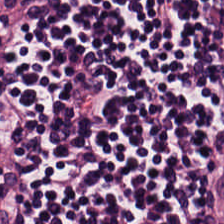Brightfield. Hematoxylin and eosin — Tissue type — lymphoid infiltrate.
